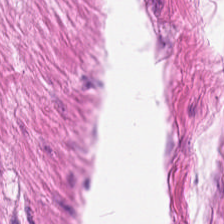Hematoxylin-and-eosin stained section — The predominant tissue is muscularis.
